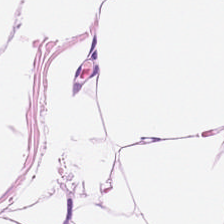Brightfield microscopy. H&E. Finding → adipocytes.
